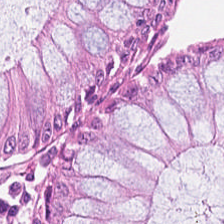Predominant tissue: benign colonic mucosa.
